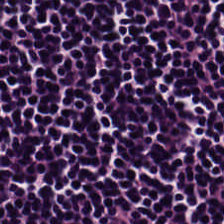Impression → lymphocytic infiltrate.
